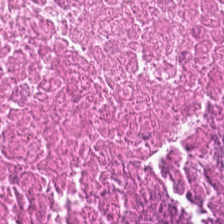Whole-slide-image patch. H&E stain. Formalin-fixed paraffin-embedded section. Histology → necrotic debris.
